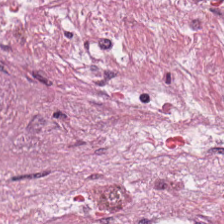Stain: hematoxylin-and-eosin stained section.
Tissue: cancer-associated stroma.
